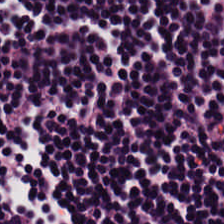H&E. Predominantly lymphocytic infiltrate.
